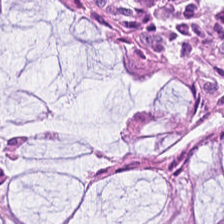0.5 µm/px. H&E. 224×224 pixel tile. This patch shows normal colonic mucosa.
